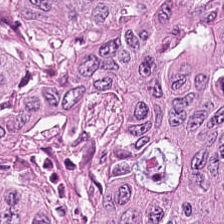Stain: H&E stain.
Tissue class: colorectal adenocarcinoma epithelium.
